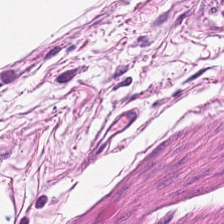The predominant tissue is muscularis.
